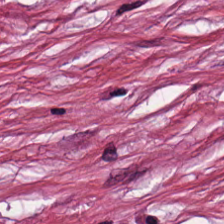Predominant tissue = tumor-associated stroma.
